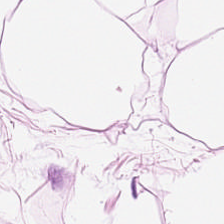Stain: H&E.
Tissue type: fat tissue.
